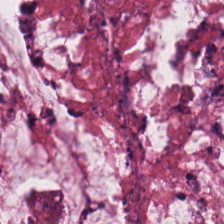H&E stain; FFPE; 224×224 pixel tile.
Extracellular mucin.
